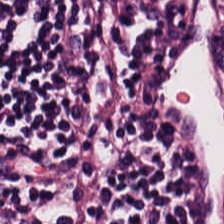H&E stain. This field is lymphoid infiltrate.
